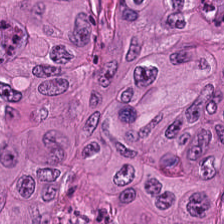Hematoxylin and eosin. FFPE. Classification = colorectal adenocarcinoma epithelium.
